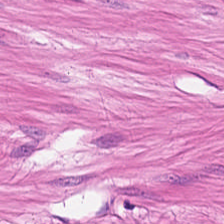Hematoxylin-and-eosin section: smooth-muscle tissue.
